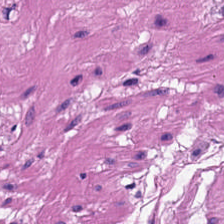Hematoxylin-and-eosin stained section. The tissue here is muscularis.
